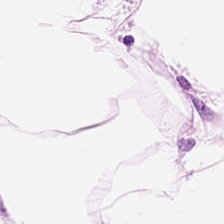224×224 px patch; formalin-fixed paraffin-embedded section; hematoxylin-and-eosin stained section. Histology — adipocytes.
